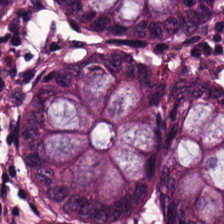Classification = normal colon mucosa.
